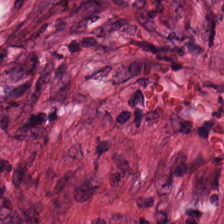H&E-stained tissue section — The predominant tissue is tumor stroma.
